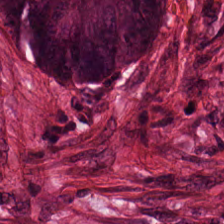WSI patch · FFPE tissue section · H&E stain.
The tissue here is colorectal adenocarcinoma epithelium.
